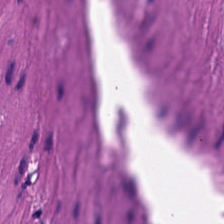H&E stain; 0.5 µm/px. Q: What is shown in this field?
A: The field shows smooth muscle.
